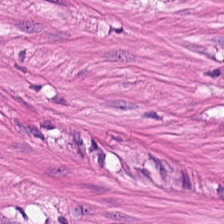Formalin-fixed paraffin-embedded section. 224×224 px patch. H&E stain. The tissue here is smooth muscle.
